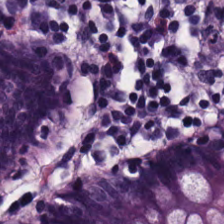H&E. The classification is non-neoplastic colon mucosa.
